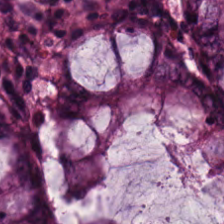Hematoxylin and eosin. The predominant tissue is benign colonic mucosa.
